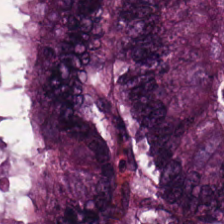Hematoxylin-and-eosin stained section — Showing adenocarcinoma.
